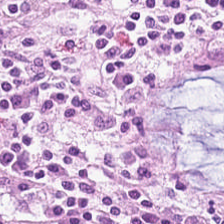Stain: H&E.
Acquisition: WSI patch.
Tissue class: normal colonic mucosa.
